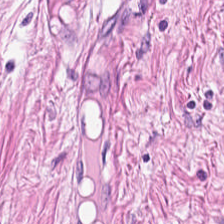H&E stain. Tissue = tumor stroma.
